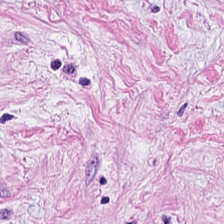Predominantly tumor-associated stroma.
